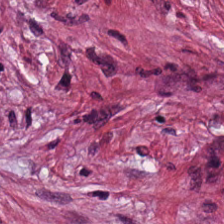Formalin-fixed paraffin-embedded section · H&E · 224×224 pixel tile.
Q: What is shown here?
A: The field shows tumor stroma.
